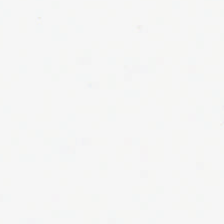H&E — Q: Classify this patch.
A: No tissue.
